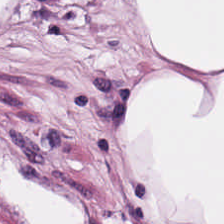Hematoxylin-and-eosin stained section.
This field is adipose.
